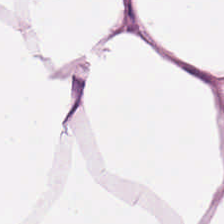Impression → fat tissue.
